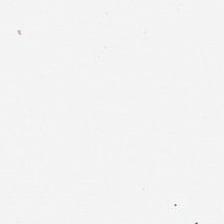0.5 µm per pixel · hematoxylin and eosin · FFPE tissue section.
No tissue present; background only.
